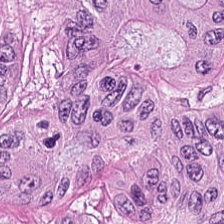Q: What is the predominant tissue type?
A: Colorectal adenocarcinoma.
